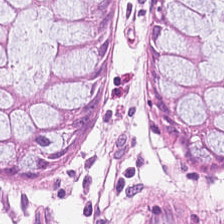Tissue class = non-neoplastic colon mucosa.
